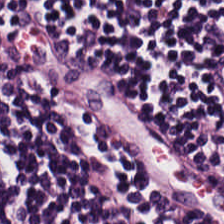Hematoxylin-and-eosin section: lymphocyte aggregate.
